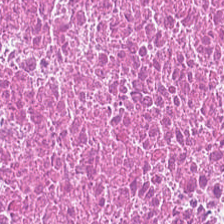Hematoxylin-and-eosin stained section. 0.5 µm/px — Impression → cellular debris.
